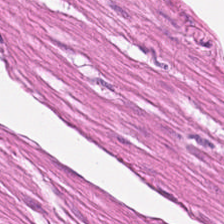Showing smooth-muscle tissue.
